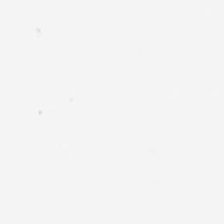H&E · 224×224 pixel tile.
{"content": "empty background"}
